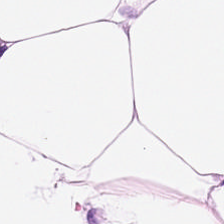H&E. The tissue is fat tissue.
